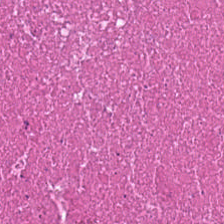Hematoxylin-and-eosin stained section. 0.5 µm/px. Whole-slide-image patch — Tissue type — debris.
